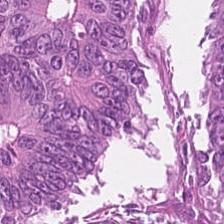Hematoxylin-and-eosin stained section.
The tissue class is colorectal adenocarcinoma epithelium.
